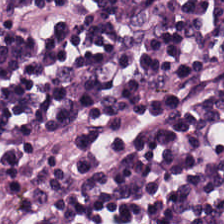This patch shows lymphocyte aggregate.
